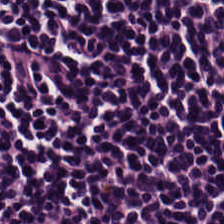H&E-stained tissue section. This field is lymphocyte aggregate.
